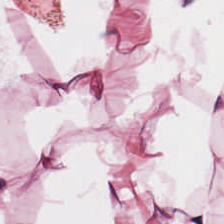0.5 µm/px. FFPE tissue section. Hematoxylin-and-eosin stained section. The tissue class is adipose tissue.
